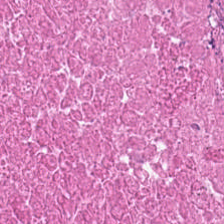Stain: hematoxylin-and-eosin stained section.
Tile size: 224×224 pixel tile.
Classification: cellular debris.
